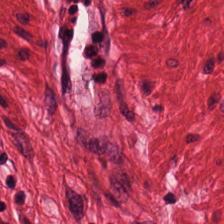This patch shows smooth muscle.
